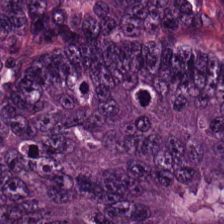Stain: H&E-stained tissue section.
Tissue class: colorectal adenocarcinoma.
